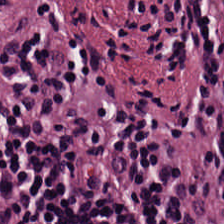H&E — Tissue class — lymphocytic infiltrate.
